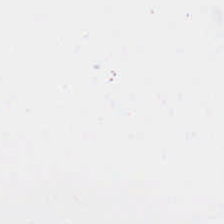Q: What is shown here?
A: This is background (no tissue).
